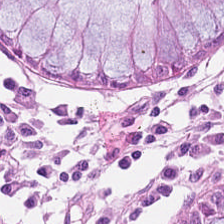H&E stain — Finding → normal colonic mucosa.
